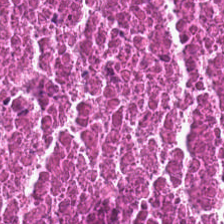Hematoxylin and eosin. Q: What tissue type is shown here?
A: It is cellular debris.
